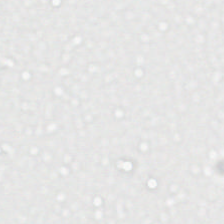This patch shows no tissue.
